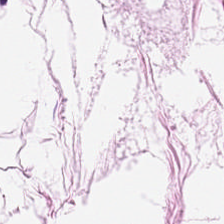Hematoxylin and eosin.
{"tissue_type": "adipocytes"}
